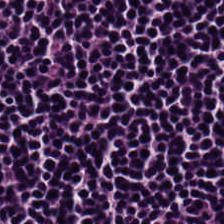Hematoxylin and eosin; brightfield; 224×224 px tile. Tissue — lymphoid infiltrate.
